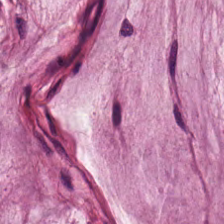FFPE. H&E-stained tissue section — Predominantly extracellular mucin.
